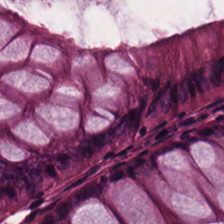This patch shows non-neoplastic colon mucosa.
